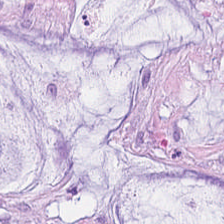Impression — mucin.
